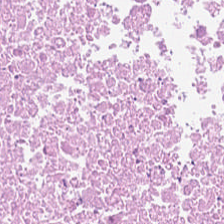The tissue class is cellular debris.
